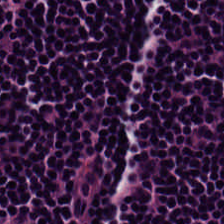H&E-stained tissue section.
Finding — lymphocyte aggregate.
